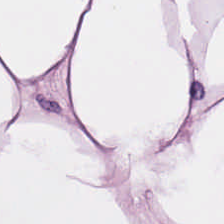H&E.
The predominant tissue is adipose.
